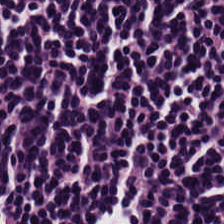Tissue — lymphocytes.
